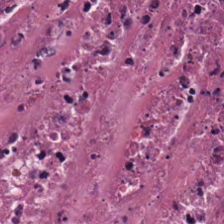H&E-stained tissue section — Necrotic debris.
